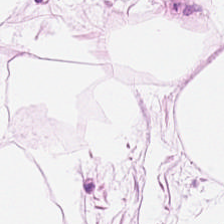This patch shows adipose tissue.
